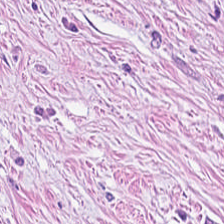H&E-stained tissue section. FFPE. Whole-slide-image patch.
Q: What tissue type is shown here?
A: Tumor-associated stroma.
